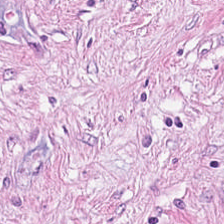Q: What tissue type is shown here?
A: The field shows tumor stroma.
